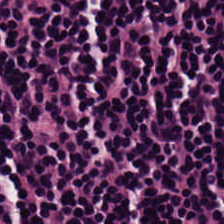Stain: H&E stain.
Predominant tissue: lymphocytic infiltrate.
